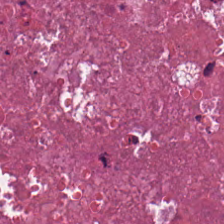H&E stain.
This patch shows necrotic debris.
